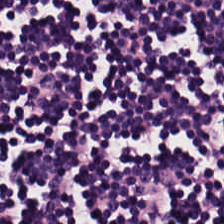Hematoxylin-and-eosin stained section.
Impression — lymphoid infiltrate.
